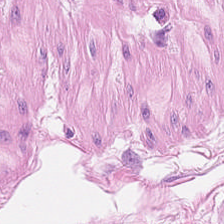H&E · 0.5 µm per pixel — Finding → muscularis.
